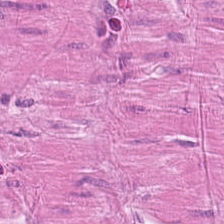FFPE · 224×224 px tile · H&E-stained tissue section. Showing smooth muscle.
